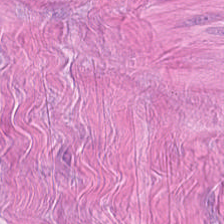H&E-stained tissue section · brightfield microscopy. Smooth-muscle tissue.
